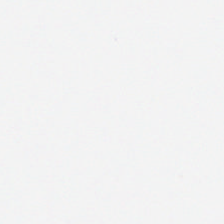This field is background (no tissue).
